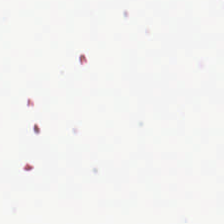The classification is empty background.
